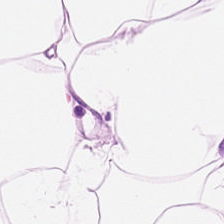H&E-stained tissue section. The tissue type is fat tissue.
